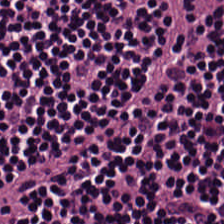Hematoxylin and eosin. This patch shows lymphoid infiltrate.
